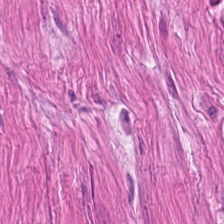Hematoxylin and eosin · whole-slide-image patch.
Predominantly muscularis.
